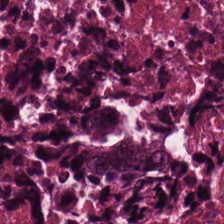Hematoxylin-and-eosin stained section.
This patch shows cellular debris.
